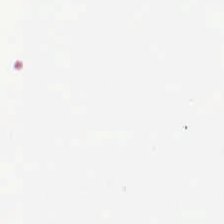0.5 µm/px. H&E stain — Background — no tissue in this field.
